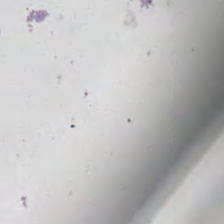Hematoxylin and eosin. Q: Classify this patch.
A: Background.
